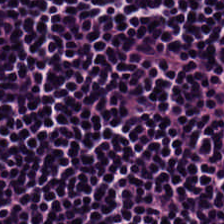0.5 µm/px. 224×224 px tile. H&E-stained tissue section — The tissue type is lymphocyte aggregate.
